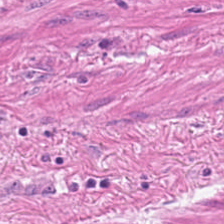H&E.
This patch shows muscularis.
